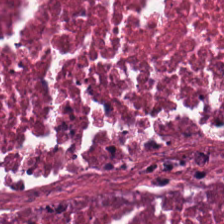Stain: hematoxylin-and-eosin stained section.
Tissue class: cellular debris.
